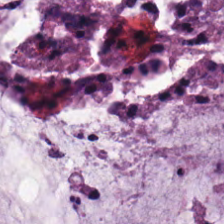Hematoxylin and eosin — Showing mucus.
